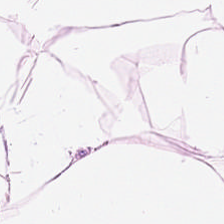Whole-slide-image patch; 0.5 microns per pixel; H&E stain — Predominant tissue: adipose.
